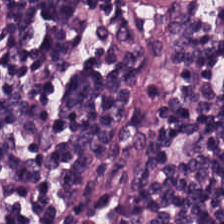Stain: H&E stain.
Preparation: FFPE.
Classification: lymphocytic infiltrate.
